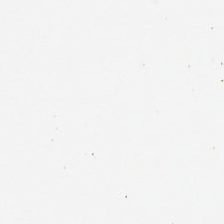Stain: H&E.
Tile size: 224×224 pixel tile.
Resolution: 0.5 µm/px.
Content: background.
